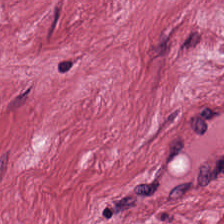H&E. Q: Classify this patch.
A: This is cancer-associated stroma.
